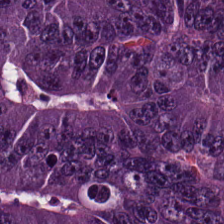H&E-stained tissue section. 0.5 µm per pixel — The predominant tissue is colorectal adenocarcinoma epithelium.
